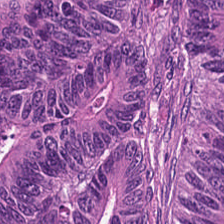H&E-stained tissue section — This field is adenocarcinoma.
